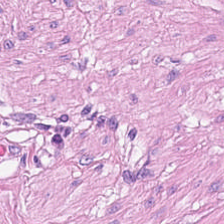Hematoxylin-and-eosin stained section · 0.5 µm per pixel · brightfield microscopy. {"tissue_type": "smooth muscle"}
